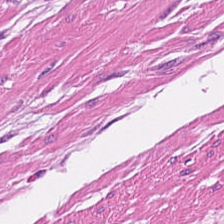H&E-stained tissue section. Brightfield microscopy. 224×224 px patch — Tissue class = muscularis.
